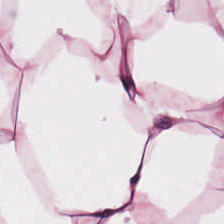H&E.
The predominant tissue is adipocytes.
